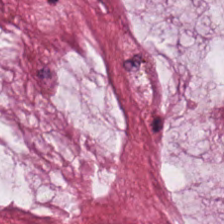Stain: H&E stain.
Tissue class: mucus.
